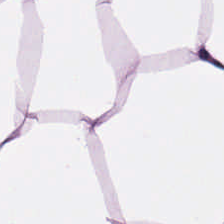Stain: hematoxylin-and-eosin stained section.
Predominant tissue: adipose.
